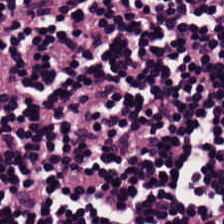0.5 µm per pixel; H&E stain — Showing lymphocytic infiltrate.
